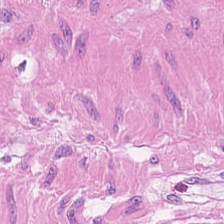Q: What does this patch show?
A: This is smooth-muscle tissue.
